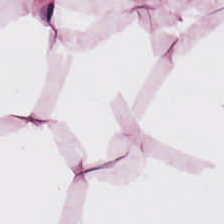H&E stain — Tissue type: fat tissue.
